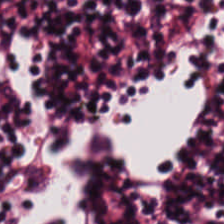H&E-stained tissue section. Predominant tissue = lymphocyte aggregate.
